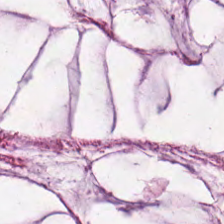Brightfield. H&E.
Q: What tissue is shown?
A: The field shows extracellular mucin.
